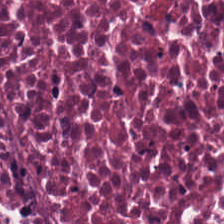H&E stain · 224×224 pixel tile.
Q: What is shown here?
A: It is debris.
